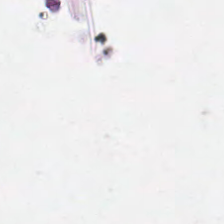Whole-slide-image patch; H&E stain.
The classification is background (no tissue).
